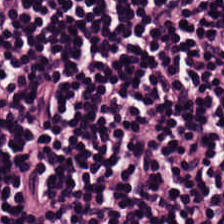Hematoxylin and eosin.
The predominant tissue is lymphocytes.
